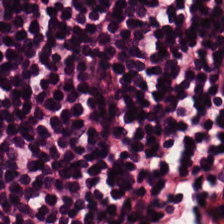Formalin-fixed paraffin-embedded section; H&E. Q: What is the predominant tissue type?
A: The field shows lymphocytes.
